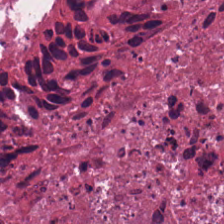Hematoxylin-and-eosin stained section. FFPE tissue section — This field is debris.
